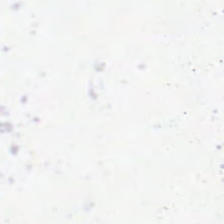H&E stain — Content: no tissue.
